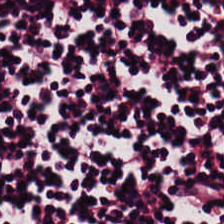Stain: hematoxylin and eosin.
Classification: lymphocytes.
